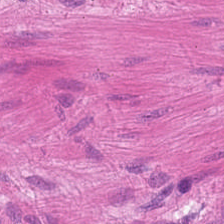Hematoxylin and eosin. 20× equivalent magnification. FFPE tissue section. Smooth-muscle tissue.
